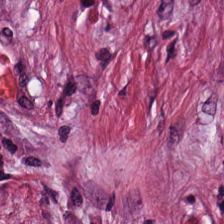Hematoxylin and eosin. Q: What is shown in this field?
A: It is desmoplastic stroma.
